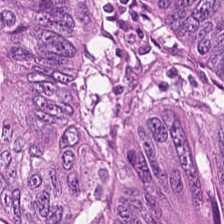H&E-stained tissue section. 0.5 µm/px. This field is colorectal adenocarcinoma epithelium.
